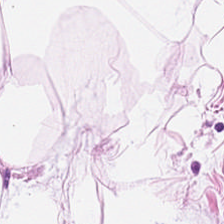Stain: H&E.
Resolution: 0.5 microns per pixel.
Tile size: 224×224 px tile.
Tissue class: adipose tissue.
